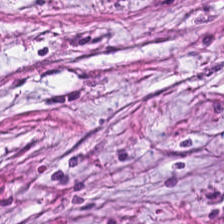Hematoxylin-and-eosin stained section. 224×224 px tile.
Q: What tissue is shown?
A: It is desmoplastic stroma.
